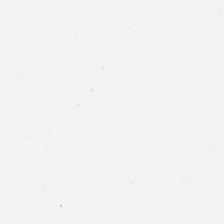Brightfield microscopy; hematoxylin and eosin; 224×224 pixel tile. No tissue present; background only.
